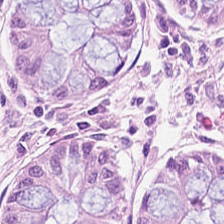H&E — This field is non-neoplastic colon mucosa.
